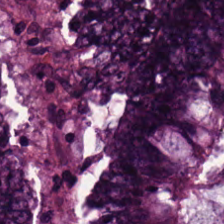224×224 px tile · H&E — Adenocarcinoma.
